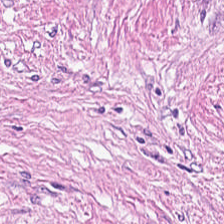The predominant tissue is cancer-associated stroma.
